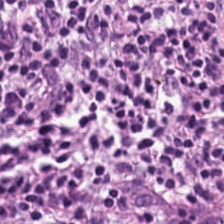H&E-stained tissue section.
Predominantly lymphocytes.
